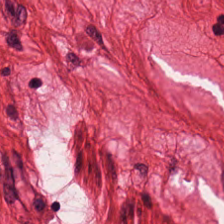224×224 pixel tile. FFPE. H&E-stained tissue section. The predominant tissue is smooth muscle.
